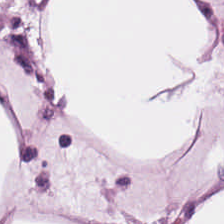WSI patch; H&E; 224×224 px tile. The tissue is fat tissue.
